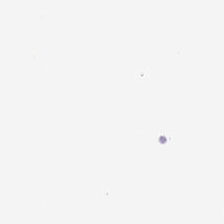H&E-stained tissue section — Content — no tissue.
